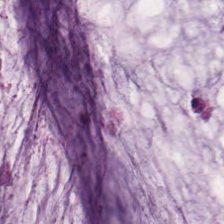The predominant tissue is mucin.
